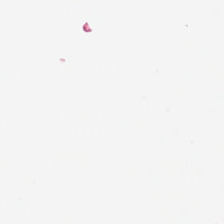Hematoxylin and eosin — Background.
